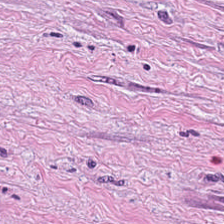Formalin-fixed paraffin-embedded section. H&E. The tissue here is cancer-associated stroma.
